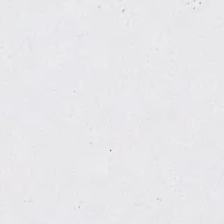This field is background (no tissue).
